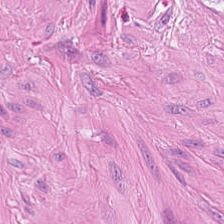{"tissue_type": "smooth-muscle tissue"}
